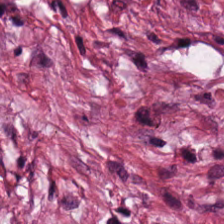Hematoxylin and eosin. The predominant tissue is desmoplastic stroma.
